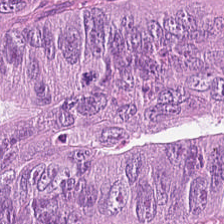Whole-slide-image patch. H&E-stained tissue section.
{"tissue_type": "adenocarcinoma"}
